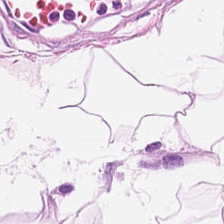Hematoxylin-and-eosin stained section. Whole-slide-image patch. This field is adipocytes.
